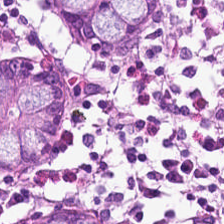The tissue here is non-neoplastic colon mucosa.
